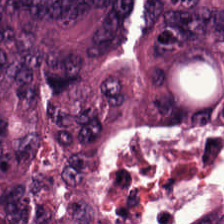Predominantly colorectal adenocarcinoma epithelium.
